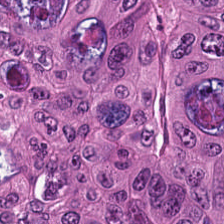Tissue type: malignant epithelium.
